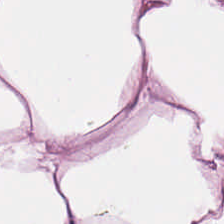0.5 µm/px. Hematoxylin-and-eosin stained section. Whole-slide-image patch — Predominant tissue: adipose.
